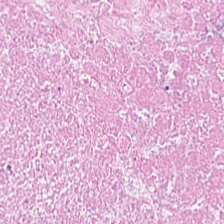Brightfield microscopy · 224×224 px tile · hematoxylin-and-eosin stained section — This field is cellular debris.
